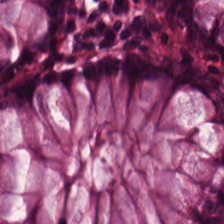224×224 pixel tile; hematoxylin-and-eosin stained section. Q: Identify the tissue.
A: Benign colonic mucosa.
